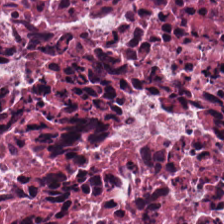Hematoxylin and eosin — Showing cellular debris.
